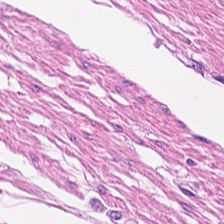Hematoxylin-and-eosin stained section.
Q: What is shown here?
A: This is smooth muscle.
